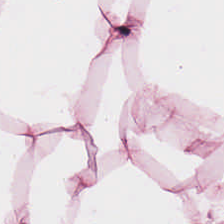Predominantly adipocytes.
